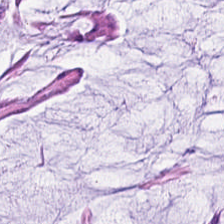H&E stain.
Mucin.
